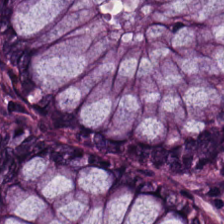Impression → non-neoplastic colon mucosa.
